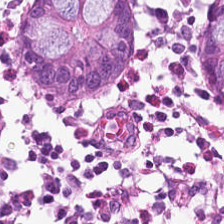224×224 px tile. Brightfield microscopy. Hematoxylin-and-eosin stained section.
Q: What does this patch show?
A: The field shows benign colonic mucosa.
